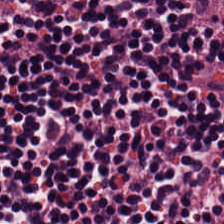Hematoxylin and eosin — Finding → lymphocyte aggregate.
